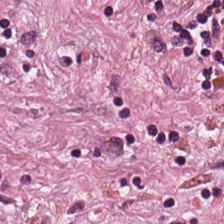H&E stain; WSI patch. Impression — tumor-associated stroma.
